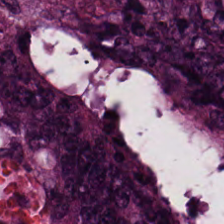Predominant tissue = malignant epithelium.
